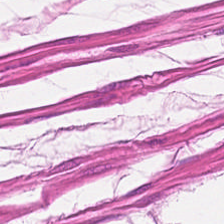H&E-stained tissue section · 224×224 px patch — Tissue class — smooth-muscle tissue.
